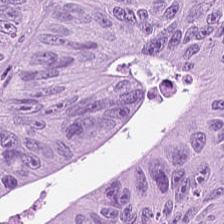Hematoxylin-and-eosin stained section · 224×224 pixel tile. Q: What does this patch show?
A: This is malignant epithelium.
